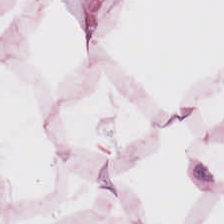Hematoxylin and eosin. Finding — adipose.
